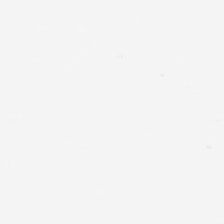H&E stain. Q: What is shown in this field?
A: The field shows background (no tissue).
